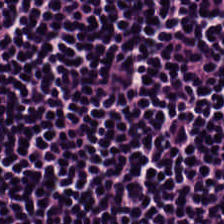H&E-stained tissue section — Lymphocytic infiltrate.
